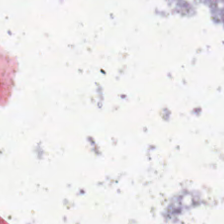This field is background (no tissue).
